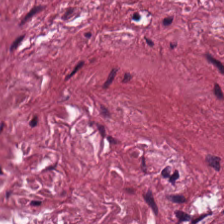224×224 px tile · H&E-stained tissue section · 0.5 µm/px — Tumor-associated stroma.
